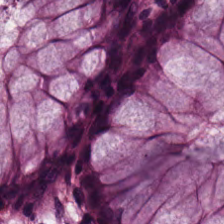Hematoxylin-and-eosin stained section — Non-neoplastic colon mucosa.
